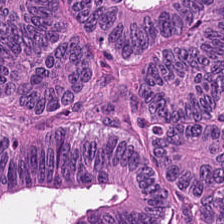Stain: H&E-stained tissue section.
Predominant tissue: colorectal adenocarcinoma.
